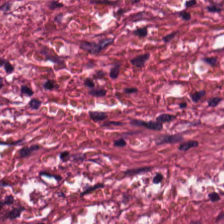H&E. 224×224 pixel tile. Q: What does this patch show?
A: It is tumor stroma.
